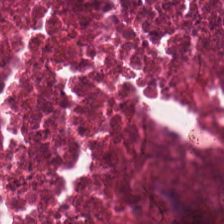0.5 microns per pixel · 224×224 pixel tile · H&E-stained tissue section. Tissue type = necrotic debris.
